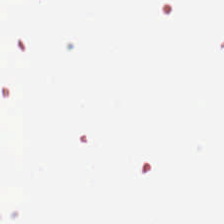224×224 pixel tile; hematoxylin and eosin; 0.5 microns per pixel — Q: What does this patch show?
A: It is background.
